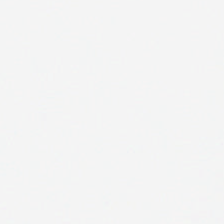FFPE · H&E-stained tissue section.
Q: Classify this patch.
A: This is background.
